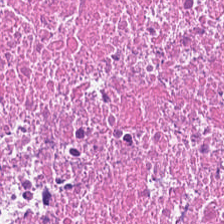Stain: hematoxylin and eosin.
Tissue class: cellular debris.
